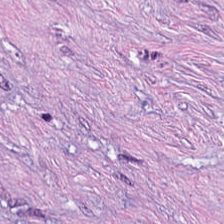This field is desmoplastic stroma.
